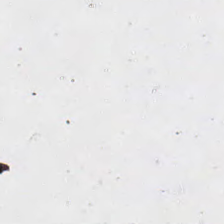Hematoxylin-and-eosin stained section. Classification = no tissue.
